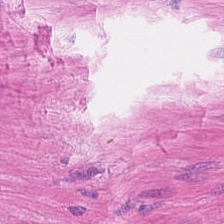H&E.
Q: What is the predominant tissue type?
A: The field shows muscularis.
